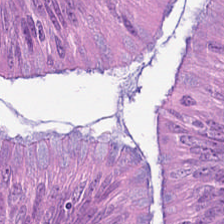Showing colorectal adenocarcinoma epithelium.
